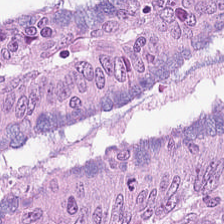Stain: hematoxylin and eosin.
Classification: tumor epithelium.
